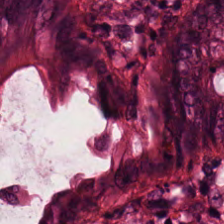Hematoxylin and eosin; FFPE tissue section; 0.5 µm per pixel — Tissue type: normal colonic mucosa.
